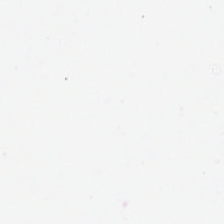Q: Classify this patch.
A: It is empty background.
